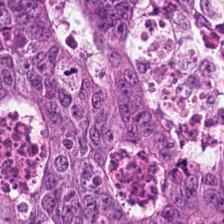H&E — {"tissue_type": "tumor epithelium"}
